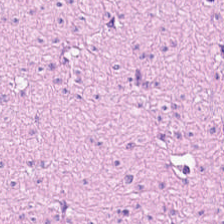Formalin-fixed paraffin-embedded section; H&E-stained tissue section. {"tissue_type": "muscularis"}
